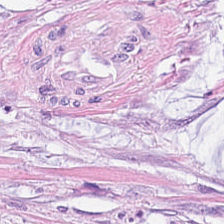H&E; whole-slide-image patch; FFPE tissue section — The tissue here is mucin.
